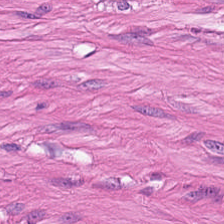H&E-stained tissue section; 20× equivalent magnification; 224×224 px tile — Smooth-muscle tissue.
